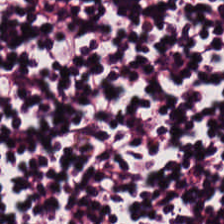Showing lymphocytes.
